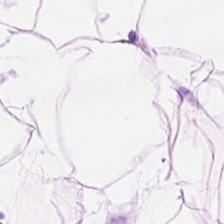Hematoxylin and eosin; formalin-fixed paraffin-embedded section — Q: Identify the tissue.
A: This is adipose.
